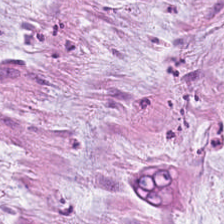Stain: H&E stain.
Tile size: 224×224 px patch.
Tissue type: extracellular mucin.
